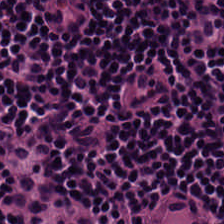H&E-stained tissue section — Predominantly lymphocytes.
